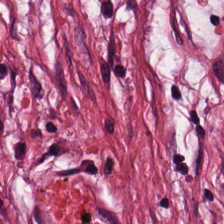H&E-stained tissue section.
Tissue type: desmoplastic stroma.
